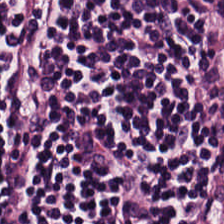H&E.
{"tissue_type": "lymphocytic infiltrate"}
